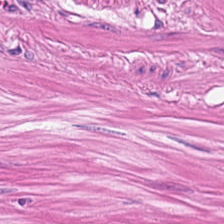Hematoxylin-and-eosin stained section — Tissue — muscularis.
